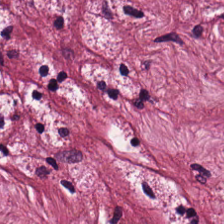H&E-stained tissue section; brightfield.
This field is desmoplastic stroma.
